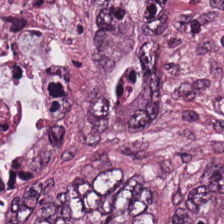H&E stain.
Adenocarcinoma.
